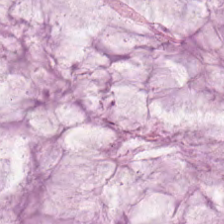Extracellular mucin.
